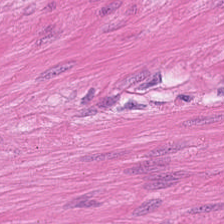Histology → smooth-muscle tissue.
